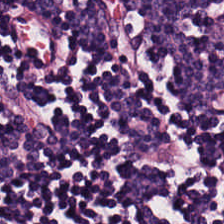Stain: H&E stain.
Predominant tissue: lymphocyte aggregate.
